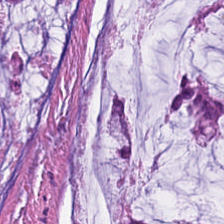The tissue type is extracellular mucin.
